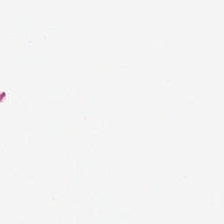H&E stain — Impression → background (no tissue).
